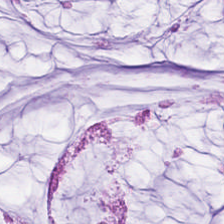224×224 pixel tile · FFPE · H&E-stained tissue section. The tissue here is mucin.
